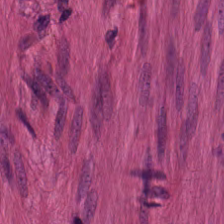H&E stain.
Q: What type of tissue is this?
A: Smooth muscle.
